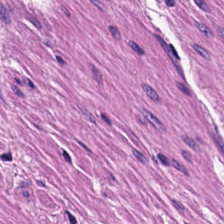Hematoxylin-and-eosin stained section.
Showing muscularis.
